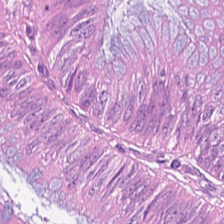H&E-stained tissue section; 224×224 px patch; 0.5 µm/px. Predominant tissue = adenocarcinoma.
